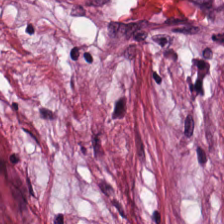Stain: hematoxylin and eosin.
Tissue class: cancer-associated stroma.
